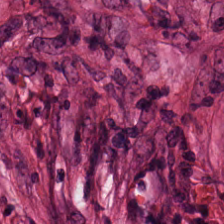0.5 µm per pixel · H&E.
Q: What does this patch show?
A: Tumor-associated stroma.
